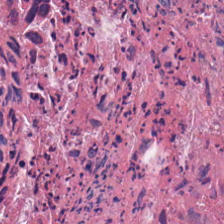H&E-stained tissue section — Q: What does this patch show?
A: It is debris.
